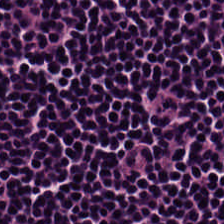H&E-stained tissue section. Tissue class = lymphocyte aggregate.
